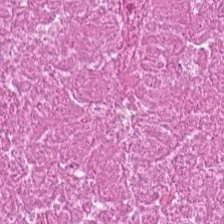Hematoxylin and eosin · WSI patch. This field is necrotic debris.
